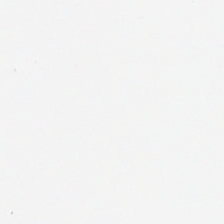H&E stain. Q: What is shown in this field?
A: Empty background.
